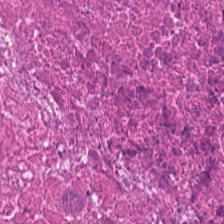H&E stain; 224×224 pixel tile.
Tissue = debris.
